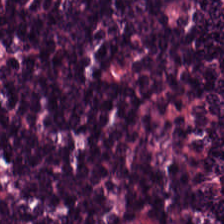H&E-stained tissue section; whole-slide-image patch — Finding — lymphoid infiltrate.
